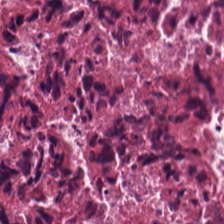Stain: H&E stain.
Predominant tissue: cellular debris.
